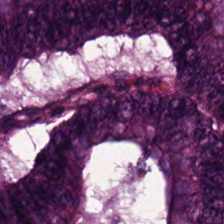H&E. The predominant tissue is malignant epithelium.
